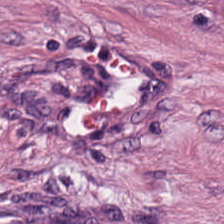FFPE; hematoxylin-and-eosin stained section. Q: What is shown in this field?
A: The field shows tumor-associated stroma.
